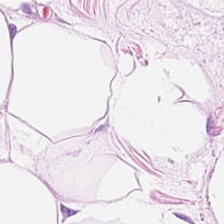0.5 microns per pixel · H&E — Q: Identify the tissue.
A: It is fat tissue.
